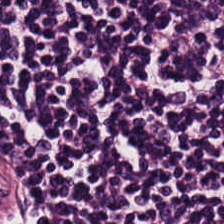H&E stain — Finding — lymphocytes.
